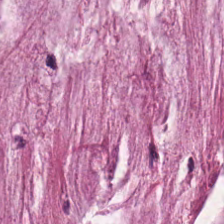H&E stain.
Tissue type — extracellular mucin.
